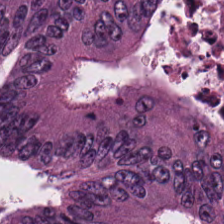Q: What is the predominant tissue type?
A: This is malignant epithelium.
